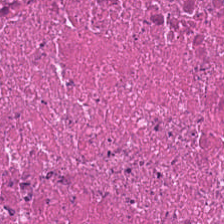Formalin-fixed paraffin-embedded section · H&E · brightfield microscopy.
Q: Classify this patch.
A: The field shows debris.
